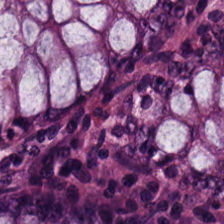Hematoxylin-and-eosin stained section. The tissue here is benign colonic mucosa.
